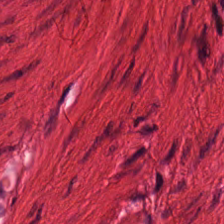FFPE · H&E.
This field is smooth-muscle tissue.
